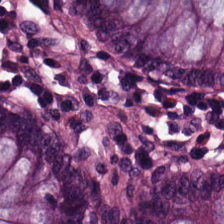Hematoxylin and eosin. FFPE tissue section. 0.5 microns per pixel — Classification — normal colon mucosa.
